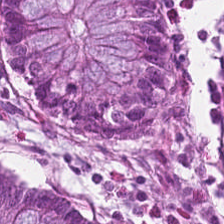20× equivalent magnification · H&E stain.
Tissue — normal colonic mucosa.
